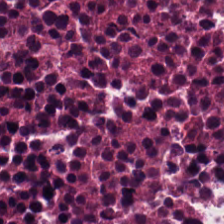H&E-stained tissue section. The classification is cellular debris.
